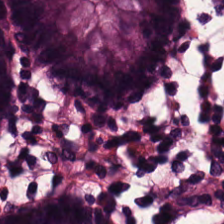H&E stain.
{"tissue_type": "normal colonic mucosa"}
